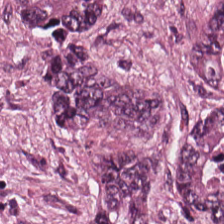20× equivalent magnification · H&E — Histology → tumor epithelium.
